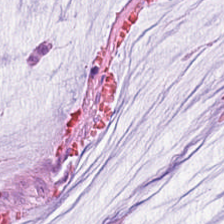Whole-slide-image patch. H&E-stained tissue section.
Tissue = mucus.
